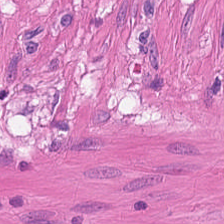The predominant tissue is muscularis.
